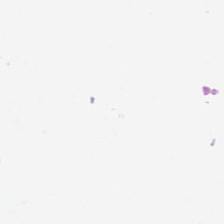H&E stain.
The content is empty background.
